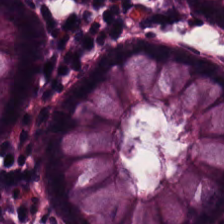Predominant tissue — normal colonic mucosa.
